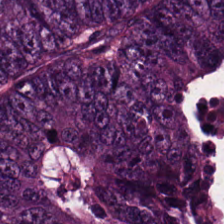Stain: hematoxylin-and-eosin stained section.
Tissue type: colorectal adenocarcinoma.
